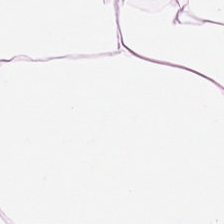Hematoxylin-and-eosin stained section · FFPE tissue section. {"tissue_type": "adipose"}
